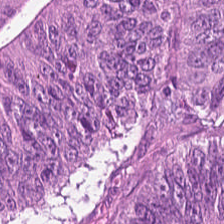H&E stain. 0.5 µm per pixel. This patch shows malignant epithelium.
